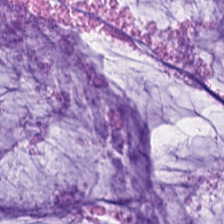The tissue is mucin.
